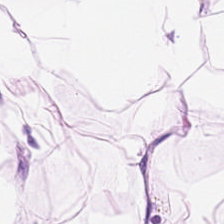224×224 pixel tile; hematoxylin and eosin. Q: What is shown in this field?
A: This is adipose tissue.
